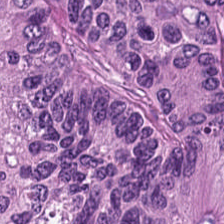H&E stain; brightfield microscopy; 0.5 µm per pixel. The tissue type is colorectal adenocarcinoma.
